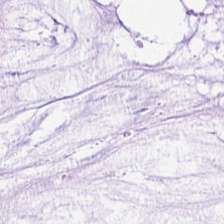20× equivalent magnification; hematoxylin and eosin — {"tissue_type": "mucin"}
